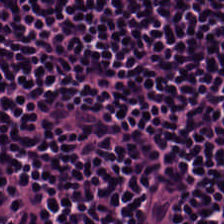Stain: hematoxylin and eosin.
Tissue class: lymphocytic infiltrate.
